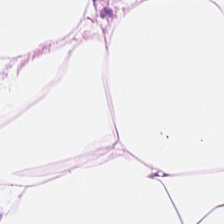Hematoxylin and eosin. Q: Identify the tissue.
A: It is adipose.
